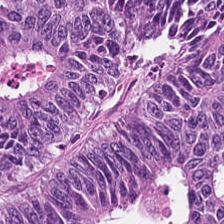FFPE tissue section · H&E stain · 20× equivalent magnification — {"tissue_type": "adenocarcinoma"}
